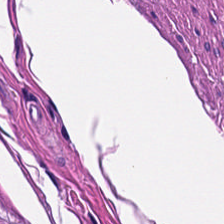H&E-stained tissue section — This field is muscularis.
